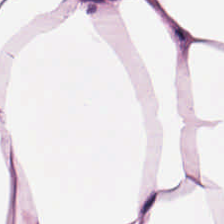H&E stain. 0.5 µm/px. Q: What tissue is shown?
A: This is adipose.
